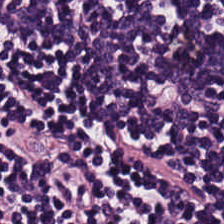H&E. Tissue class: lymphocytes.
